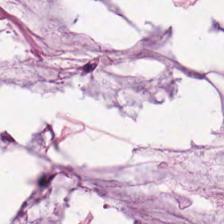H&E-stained tissue section. {"tissue_type": "extracellular mucin"}
